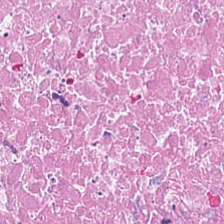Hematoxylin and eosin.
The tissue here is debris.
